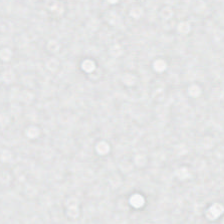Q: Classify this patch.
A: The field shows no tissue.
